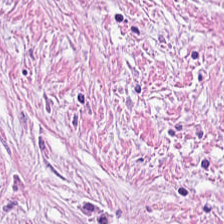0.5 µm per pixel. H&E-stained tissue section. 224×224 pixel tile. Predominantly desmoplastic stroma.
